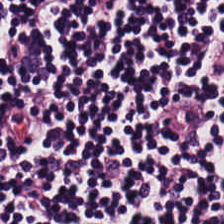H&E-stained tissue section · 0.5 microns per pixel. Showing lymphoid infiltrate.
